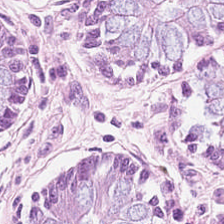Hematoxylin and eosin; FFPE.
Q: What type of tissue is this?
A: It is normal colonic mucosa.
